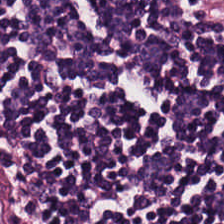Brightfield microscopy · hematoxylin-and-eosin stained section · 224×224 px patch.
{"tissue_type": "lymphocyte aggregate"}
